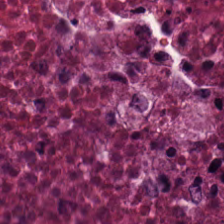H&E stain; 224×224 px patch. The predominant tissue is necrotic debris.
